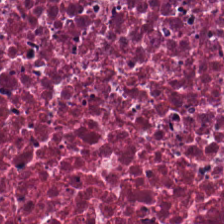H&E; formalin-fixed paraffin-embedded section; 0.5 microns per pixel — The tissue here is necrotic debris.
